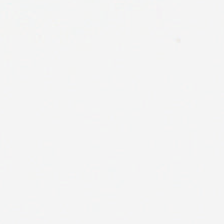FFPE tissue section · hematoxylin-and-eosin stained section — Impression → background.
